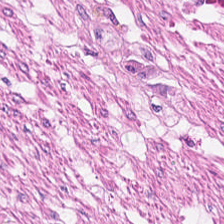Q: Identify the tissue.
A: It is muscularis.
